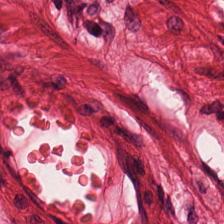H&E-stained tissue section. Tissue type = smooth-muscle tissue.
